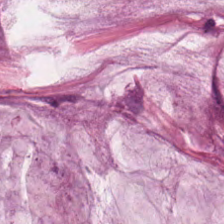H&E stain.
Classification — mucus.
